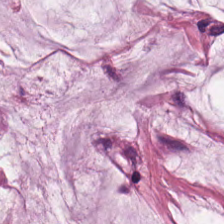The predominant tissue is extracellular mucin.
